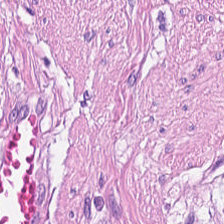Whole-slide-image patch; hematoxylin-and-eosin stained section. The tissue here is smooth muscle.
